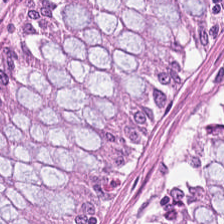Finding — non-neoplastic colon mucosa.
